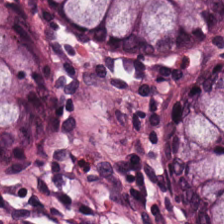H&E stain. Formalin-fixed paraffin-embedded section. Whole-slide-image patch.
Q: Identify the tissue.
A: Benign colonic mucosa.
